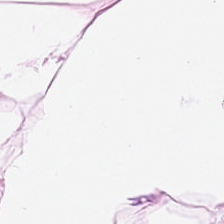224×224 pixel tile; H&E-stained tissue section. Showing adipocytes.
